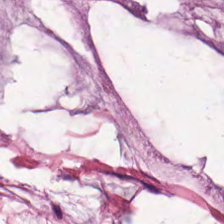Hematoxylin-and-eosin section: mucin.
